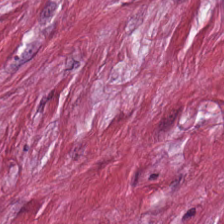Hematoxylin and eosin.
This field is desmoplastic stroma.
